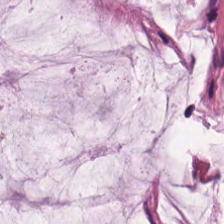H&E.
{"tissue_type": "extracellular mucin"}
